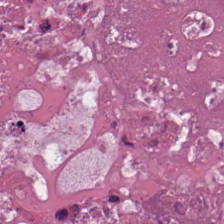Hematoxylin-and-eosin stained section — Classification = cellular debris.
